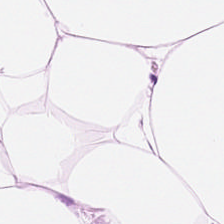H&E — Predominantly fat tissue.
